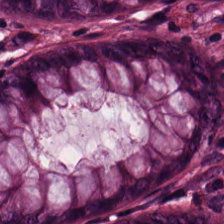0.5 µm/px; 224×224 pixel tile; H&E-stained tissue section. The predominant tissue is benign colonic mucosa.
